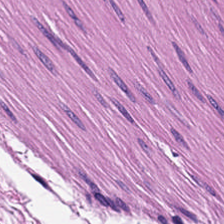H&E-stained tissue section. Q: Classify this patch.
A: It is smooth muscle.
